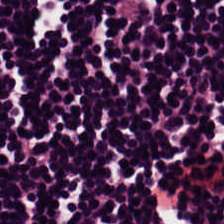Hematoxylin-and-eosin stained section · 224×224 pixel tile.
Lymphoid infiltrate.
